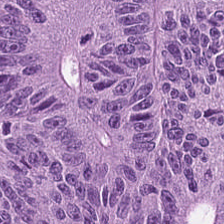The tissue class is adenocarcinoma.
